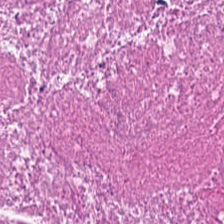H&E. {"tissue_type": "necrotic debris"}
